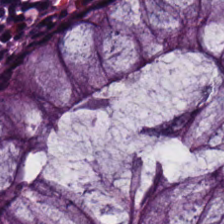Hematoxylin and eosin.
The predominant tissue is normal colon mucosa.
